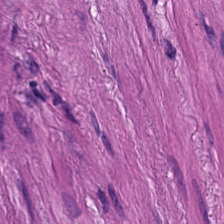H&E-stained tissue section. The tissue class is smooth muscle.
